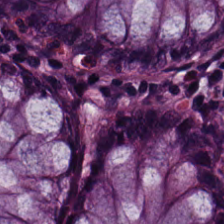H&E stain — Predominantly benign colonic mucosa.
